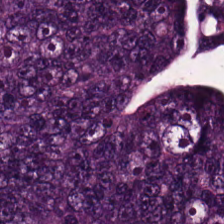Stain: hematoxylin and eosin.
Classification: colorectal adenocarcinoma epithelium.
